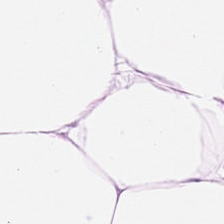Stain: H&E-stained tissue section.
Tissue: fat tissue.
